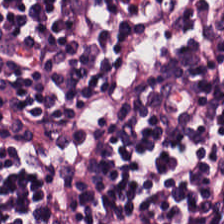0.5 µm/px. H&E-stained tissue section.
Q: What is the predominant tissue type?
A: It is lymphoid infiltrate.
